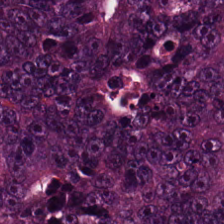Hematoxylin and eosin — Showing colorectal adenocarcinoma.
